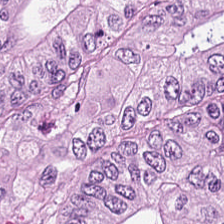Hematoxylin-and-eosin stained section. This patch shows tumor epithelium.
